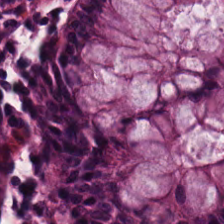H&E-stained section; the field shows normal colonic mucosa.
